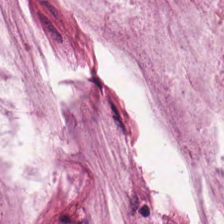Hematoxylin-and-eosin stained section — Tissue: mucus.
